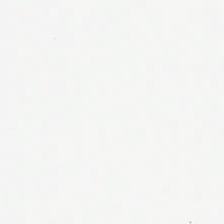H&E stain; formalin-fixed paraffin-embedded section. Classification — empty background.
